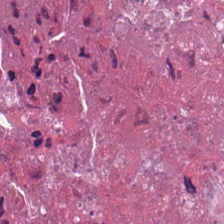H&E stain — Cellular debris.
